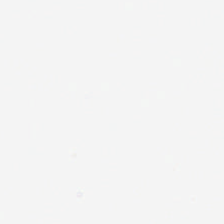Stain: H&E stain.
Tile size: 224×224 pixel tile.
Classification: background (no tissue).
